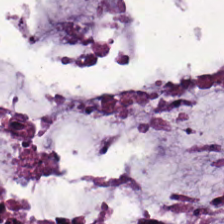This field is mucin.
